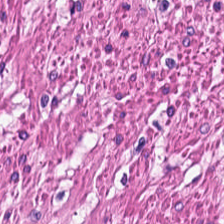The predominant tissue is smooth muscle.
